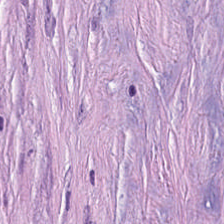Stain: hematoxylin and eosin.
Tissue: tumor stroma.
